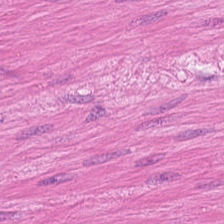H&E stain.
Q: What is shown in this field?
A: This is smooth-muscle tissue.
